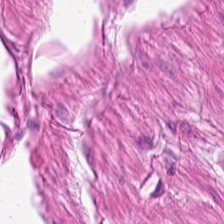224×224 px patch. Hematoxylin and eosin. FFPE tissue section — {"tissue_type": "smooth-muscle tissue"}
